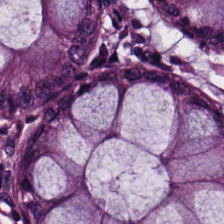224×224 px patch; H&E stain. Predominantly non-neoplastic colon mucosa.
